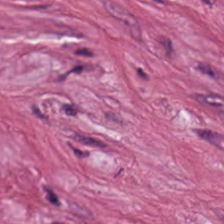H&E patch showing tumor-associated stroma.
